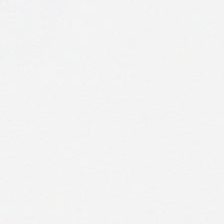Formalin-fixed paraffin-embedded section · hematoxylin and eosin — No tissue present; background only.
